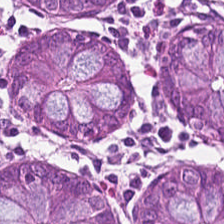Hematoxylin and eosin. Classification: normal colon mucosa.
